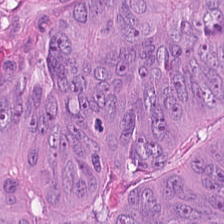Hematoxylin-and-eosin stained section. The tissue is colorectal adenocarcinoma epithelium.
